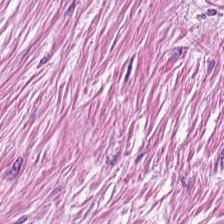H&E; 0.5 µm per pixel.
Tissue class — desmoplastic stroma.
